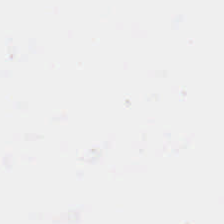H&E-stained tissue section. Finding — background.
